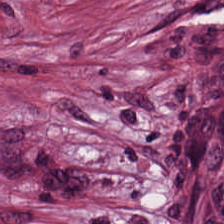Stain: H&E.
Acquisition: brightfield.
Tile size: 224×224 px patch.
Classification: tumor-associated stroma.
